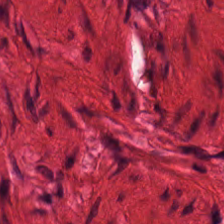Finding → smooth-muscle tissue.
